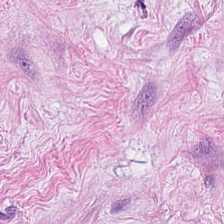224×224 pixel tile; H&E stain — {"tissue_type": "tumor stroma"}
